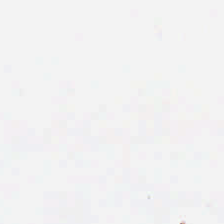H&E; 224×224 px patch — Content — empty background.
